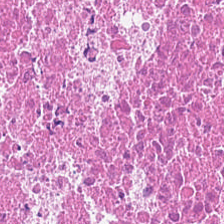224×224 px tile · FFPE tissue section · H&E.
Q: Identify the tissue.
A: The field shows cellular debris.
